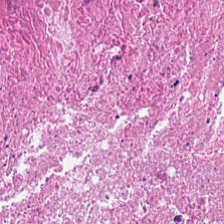Classification = necrotic debris.
